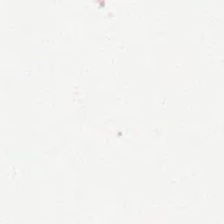{"content": "background"}
